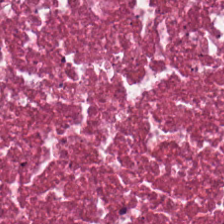H&E-stained tissue section — Q: What tissue is shown?
A: This is cellular debris.
